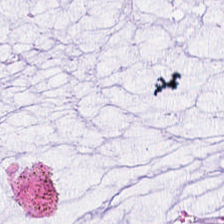0.5 microns per pixel · hematoxylin and eosin. Tissue: mucin.
